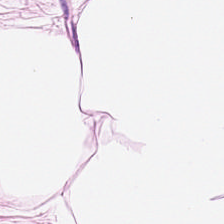0.5 µm per pixel · H&E-stained tissue section.
Tissue class: adipose tissue.
